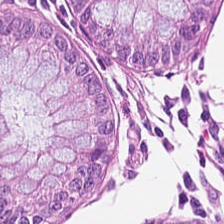This field is non-neoplastic colon mucosa.
